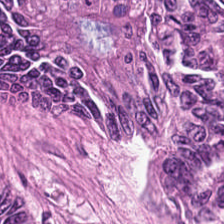Q: What tissue is shown?
A: The field shows colorectal adenocarcinoma.
